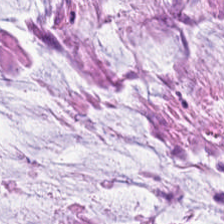H&E-stained tissue section.
Predominantly extracellular mucin.
